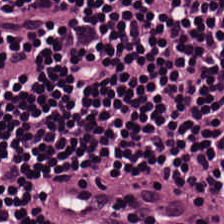H&E-stained tissue section showing lymphocytes.
